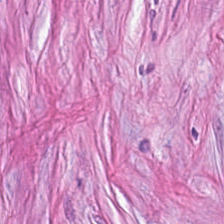The predominant tissue is tumor stroma.
